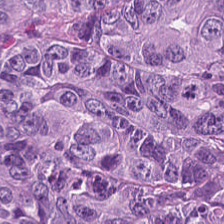Tissue type — malignant epithelium.
